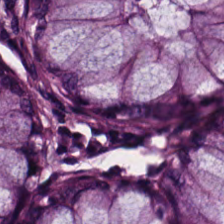Hematoxylin-and-eosin stained section. 20× equivalent magnification. The predominant tissue is normal colon mucosa.
